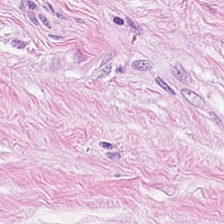Hematoxylin-and-eosin stained section — This field is desmoplastic stroma.
